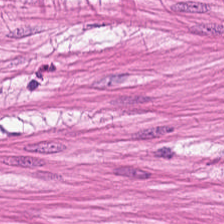Hematoxylin and eosin; whole-slide-image patch; 0.5 microns per pixel — Tissue = smooth muscle.
